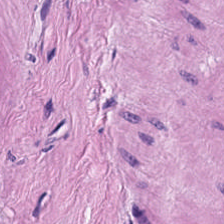H&E stain.
Histology → smooth-muscle tissue.
